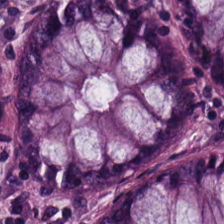Stain: hematoxylin and eosin.
Tissue type: normal colon mucosa.
